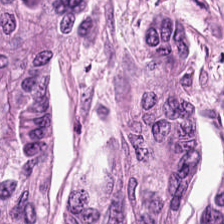H&E stain; WSI patch — Tissue: tumor epithelium.
